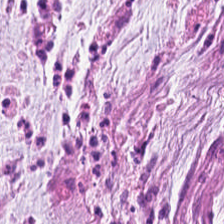WSI patch · hematoxylin-and-eosin stained section. Q: What does this patch show?
A: Extracellular mucin.
